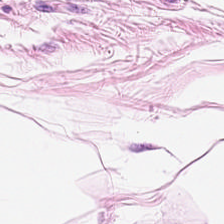Impression → adipocytes.
